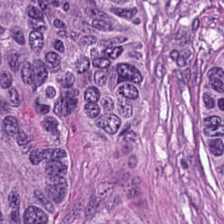0.5 microns per pixel; H&E-stained tissue section. Finding → colorectal adenocarcinoma epithelium.
